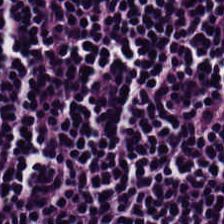Formalin-fixed paraffin-embedded section · brightfield · H&E-stained tissue section. Tissue: lymphocytic infiltrate.
